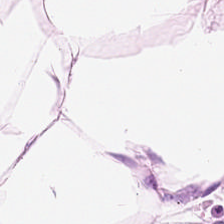H&E-stained tissue section.
Impression — fat tissue.
